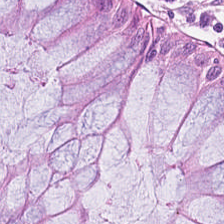H&E stain.
Finding — normal colon mucosa.
